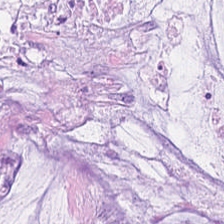Hematoxylin and eosin; 224×224 px patch; whole-slide-image patch — Tissue type = mucin.
